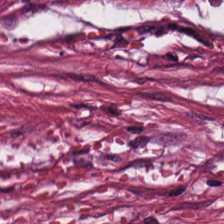Hematoxylin and eosin · whole-slide-image patch · FFPE.
Predominantly tumor stroma.
